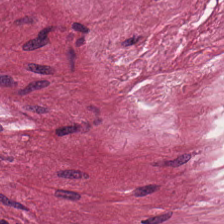Q: Classify this patch.
A: The field shows tumor-associated stroma.
